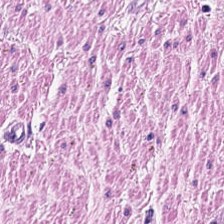Histology — smooth-muscle tissue.
